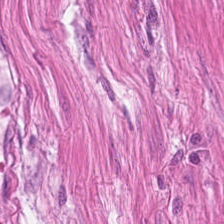20× equivalent magnification; H&E stain; 224×224 pixel tile — Tissue type: smooth-muscle tissue.
